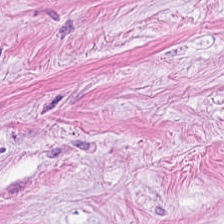Hematoxylin-and-eosin stained section.
The tissue is tumor stroma.
